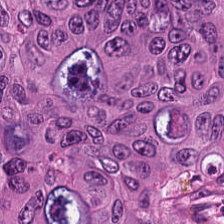Hematoxylin-and-eosin stained section · FFPE — Malignant epithelium.
